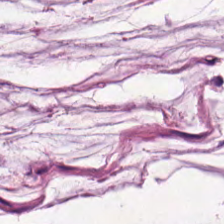Brightfield microscopy; hematoxylin-and-eosin stained section — Q: Classify this patch.
A: Mucus.
